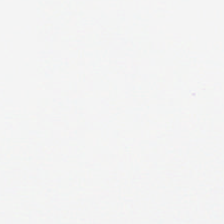Stain: H&E.
Field content: no tissue.
